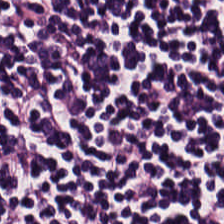Hematoxylin-and-eosin stained section; FFPE — {"tissue_type": "lymphocyte aggregate"}
